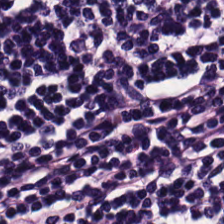Whole-slide-image patch · 0.5 µm/px · H&E — Lymphocyte aggregate.
